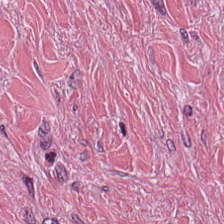Stain: H&E.
Resolution: 0.5 µm per pixel.
Preparation: FFPE tissue section.
Classification: tumor-associated stroma.
